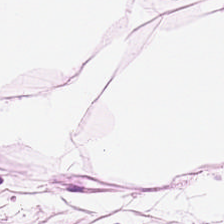Stain: H&E-stained tissue section.
Tile size: 224×224 pixel tile.
Predominant tissue: adipose tissue.
